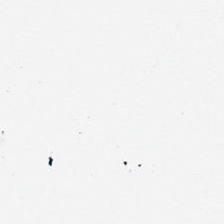Brightfield microscopy. H&E. The field content is background.
